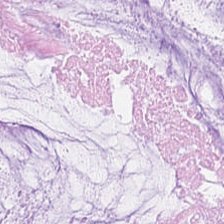H&E stain.
The tissue type is mucin.
